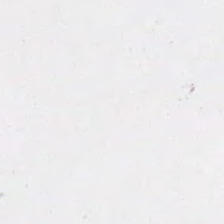H&E — No tissue present; background only.
